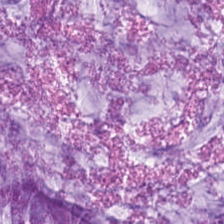The tissue here is extracellular mucin.
